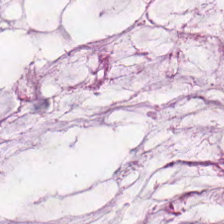224×224 px patch · H&E · formalin-fixed paraffin-embedded section.
Showing extracellular mucin.
